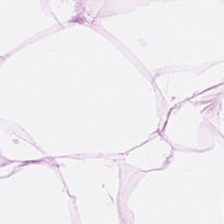H&E-stained tissue section — The predominant tissue is adipose.
